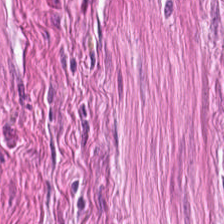H&E stain.
Q: What is shown in this field?
A: Smooth-muscle tissue.
